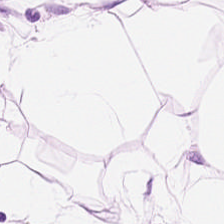H&E-stained tissue section.
Q: What is shown here?
A: This is adipose tissue.
